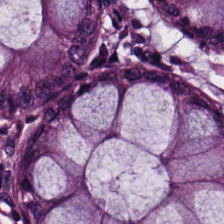Stain: hematoxylin-and-eosin stained section.
Tissue type: normal colon mucosa.
